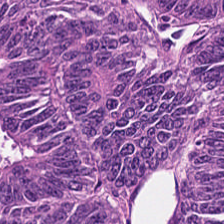Hematoxylin-and-eosin stained section; whole-slide-image patch; 20× equivalent magnification.
Colorectal adenocarcinoma epithelium.
